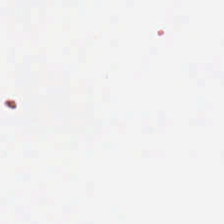Stain: H&E.
Preparation: FFPE.
Content: background (no tissue).
